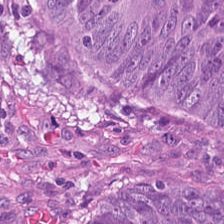Q: What is shown in this field?
A: Malignant epithelium.
